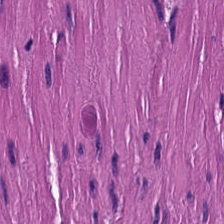Hematoxylin and eosin. Brightfield. 224×224 px patch. Q: What type of tissue is this?
A: Muscularis.
